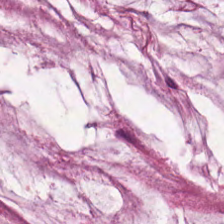H&E-stained tissue section.
{"tissue_type": "mucus"}
